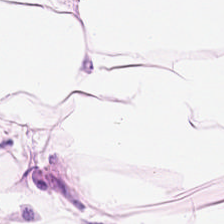H&E-stained tissue section. Predominantly adipose.
